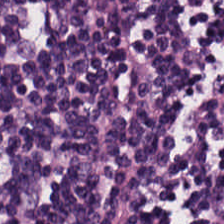H&E-stained tissue section; 224×224 px tile.
This patch shows lymphocytic infiltrate.
